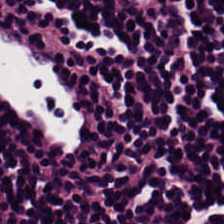FFPE; hematoxylin-and-eosin stained section.
This patch shows lymphocytes.
